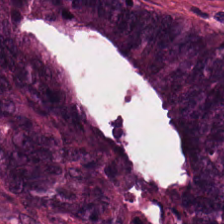H&E stain.
The classification is colorectal adenocarcinoma.
